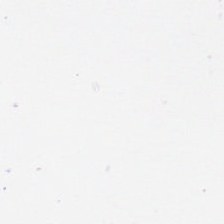Hematoxylin and eosin.
Background — no tissue in this field.
